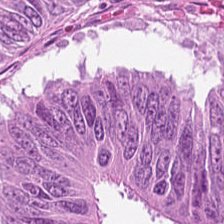H&E-stained tissue section showing malignant epithelium.
